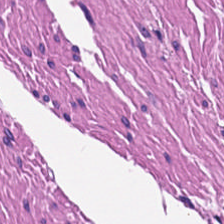Hematoxylin and eosin — Tissue type = smooth muscle.
